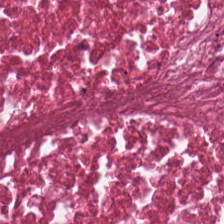Hematoxylin-and-eosin stained section.
Finding → debris.
